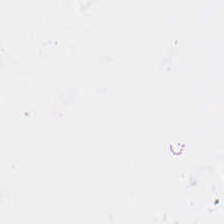H&E — Q: What is shown here?
A: This is background.
